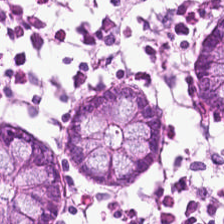FFPE tissue section. Hematoxylin and eosin.
Showing non-neoplastic colon mucosa.
